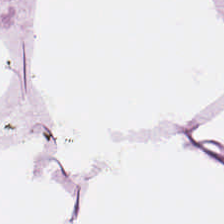The predominant tissue is adipose.
